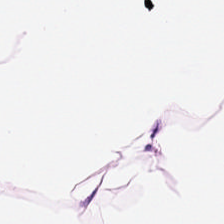H&E stain · formalin-fixed paraffin-embedded section — Predominantly fat tissue.
